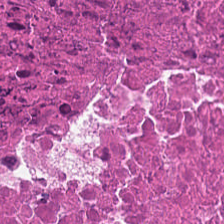Showing cellular debris.
